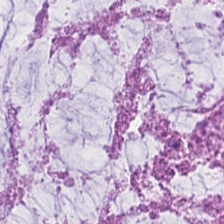H&E. Histology → mucus.
